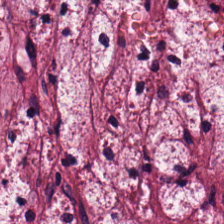H&E. WSI patch. 224×224 px patch — Tissue class — cancer-associated stroma.
